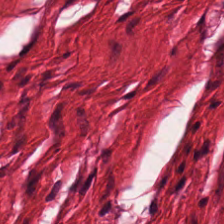Hematoxylin and eosin.
Tissue type = muscularis.
